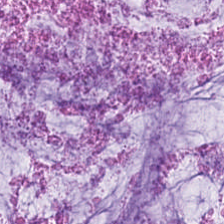Brightfield; FFPE tissue section; H&E-stained tissue section. Predominant tissue: extracellular mucin.
